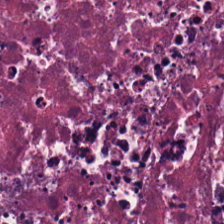H&E. Histology → necrotic debris.
